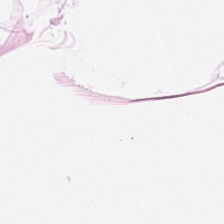Tissue type — fat tissue.
